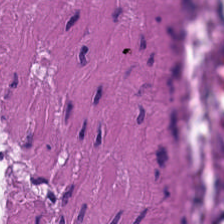The classification is smooth-muscle tissue.
